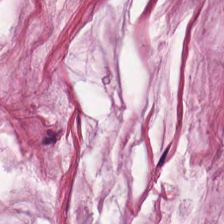FFPE tissue section · 0.5 µm per pixel · H&E-stained tissue section — Tissue type — mucin.
